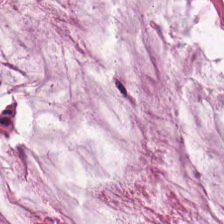H&E stain · brightfield — Predominant tissue — mucin.
